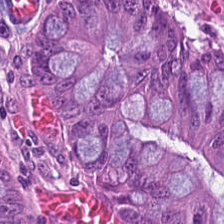H&E-stained tissue section. Formalin-fixed paraffin-embedded section — Q: What tissue is shown?
A: Adenocarcinoma.
